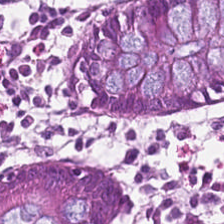Hematoxylin-and-eosin stained section; 0.5 µm per pixel; brightfield.
Finding → normal colonic mucosa.
